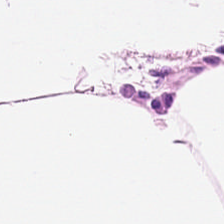Tissue class: adipose.
